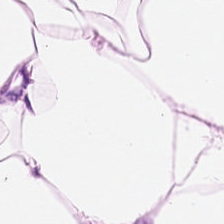Tissue: adipocytes.
